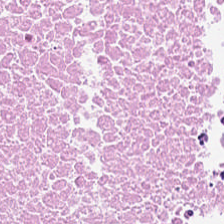The tissue is necrotic debris.
